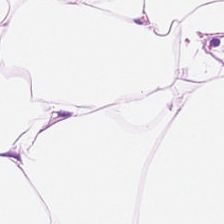Brightfield · 0.5 µm per pixel · hematoxylin and eosin.
Showing adipose.
